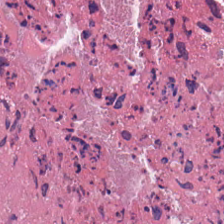Brightfield microscopy. H&E stain — Tissue type: cellular debris.
